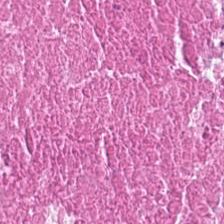Whole-slide-image patch; H&E.
Q: What tissue is shown?
A: The field shows necrotic debris.
